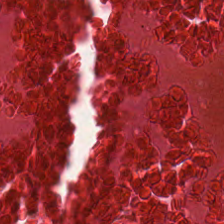0.5 microns per pixel; H&E-stained tissue section; 224×224 pixel tile.
Tissue type: necrotic debris.
